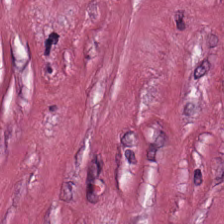Hematoxylin and eosin; FFPE tissue section; 224×224 pixel tile — Finding → tumor stroma.
